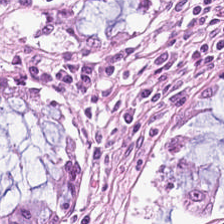Hematoxylin-and-eosin stained section. Histology — normal colon mucosa.
